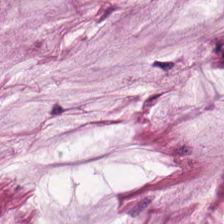224×224 pixel tile; H&E-stained tissue section; 0.5 µm per pixel. Q: Classify this patch.
A: The field shows extracellular mucin.
